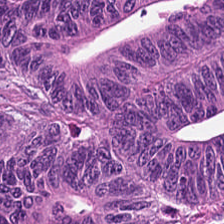WSI patch · H&E-stained tissue section.
Q: Identify the tissue.
A: This is malignant epithelium.
